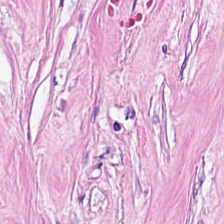H&E stain. Classification: tumor stroma.
